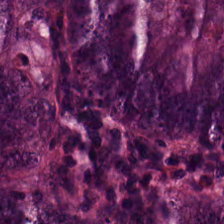Stain: H&E stain.
Classification: colorectal adenocarcinoma.
